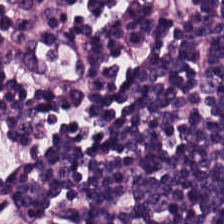H&E stain; FFPE tissue section.
Q: What is shown in this field?
A: The field shows lymphocytes.
